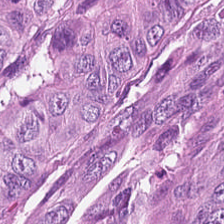The tissue type is colorectal adenocarcinoma.
